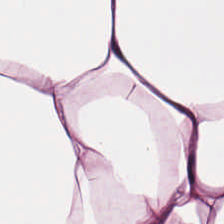Hematoxylin and eosin. Tissue type — adipose tissue.
